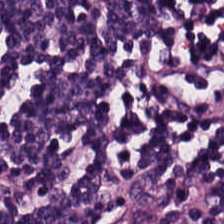H&E-stained tissue section. 224×224 px patch.
Lymphoid infiltrate.
